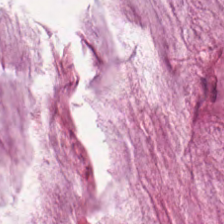H&E patch showing mucin.
